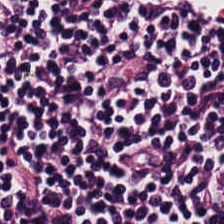Stain: H&E-stained tissue section.
Predominant tissue: lymphocytes.
